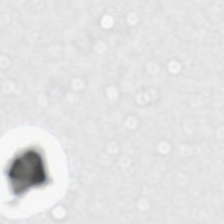H&E-stained tissue section · FFPE tissue section — Empty field — background.
